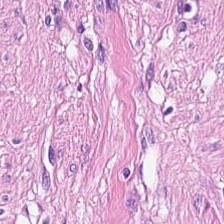Q: What does this patch show?
A: The field shows muscularis.
